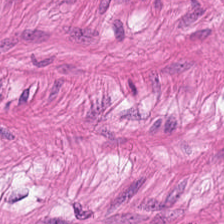H&E-stained section; the field shows smooth-muscle tissue.
